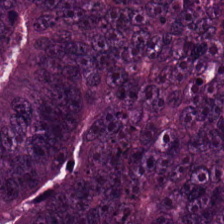Hematoxylin and eosin. Q: What is the predominant tissue type?
A: It is adenocarcinoma.
